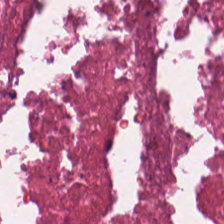FFPE. Hematoxylin and eosin.
Showing cellular debris.
